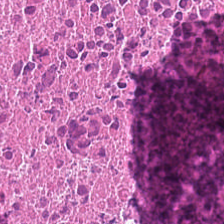Stain: H&E.
Preparation: formalin-fixed paraffin-embedded section.
Predominant tissue: cellular debris.
